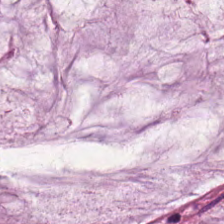Showing extracellular mucin.
